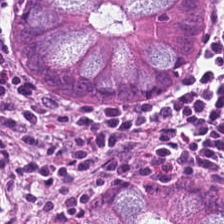Showing normal colon mucosa.
